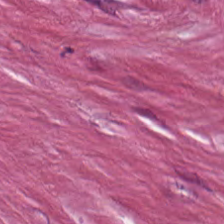H&E-stained tissue section · 224×224 pixel tile.
Tissue — cancer-associated stroma.
